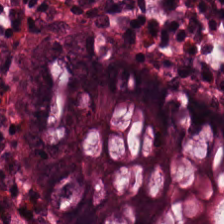224×224 px patch · hematoxylin and eosin. The tissue class is normal colonic mucosa.
